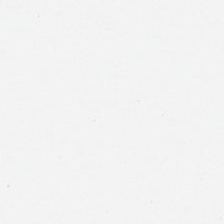H&E-stained tissue section.
Background.
